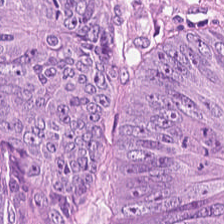Stain: hematoxylin-and-eosin stained section.
Tissue: adenocarcinoma.
